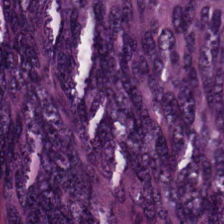224×224 px patch · hematoxylin and eosin. This patch shows malignant epithelium.
